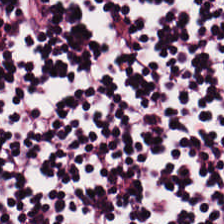Hematoxylin-and-eosin stained section. Formalin-fixed paraffin-embedded section. Predominantly lymphocyte aggregate.
